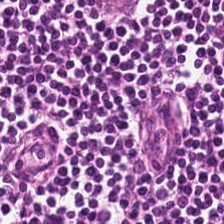H&E-stained tissue section. This patch shows lymphocytic infiltrate.
